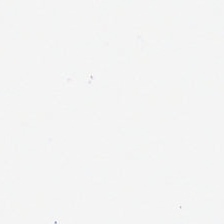224×224 px tile · H&E stain · formalin-fixed paraffin-embedded section. {"content": "empty background"}
